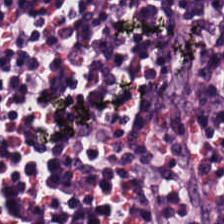{"tissue_type": "lymphocytes"}
